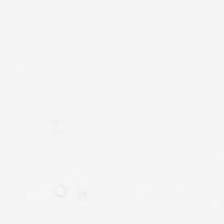H&E stain.
This patch shows background (no tissue).
